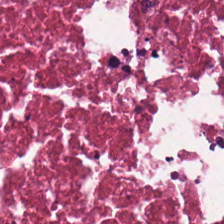Stain: hematoxylin and eosin.
Tissue class: debris.
